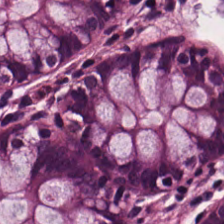224×224 px tile. Hematoxylin and eosin. Q: Identify the tissue.
A: It is normal colon mucosa.
